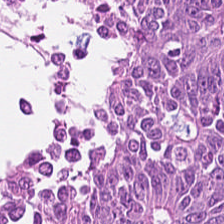Hematoxylin-and-eosin stained section. Q: What is the predominant tissue type?
A: It is colorectal adenocarcinoma epithelium.
